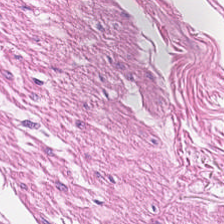H&E stain. 224×224 pixel tile.
Classification = muscularis.
